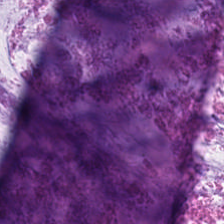Classification = mucus.
